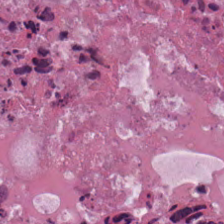Hematoxylin and eosin. 224×224 pixel tile — Classification = debris.
